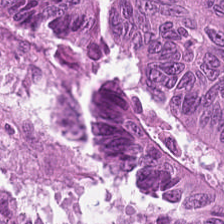H&E-stained tissue section showing adenocarcinoma.
